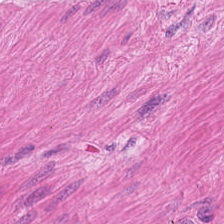Hematoxylin-and-eosin stained section; 0.5 µm/px; FFPE tissue section. This field is muscularis.
